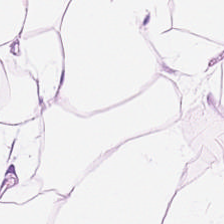H&E-stained tissue section · formalin-fixed paraffin-embedded section. Fat tissue.
